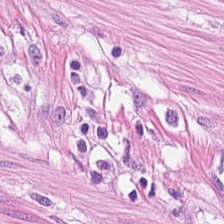Brightfield · H&E-stained tissue section — Histology → smooth-muscle tissue.
